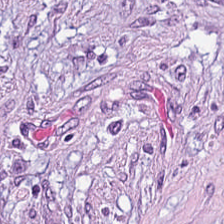Stain: H&E.
Tissue class: cancer-associated stroma.
